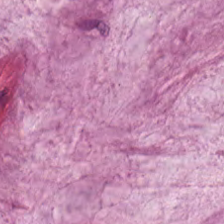H&E-stained tissue section showing extracellular mucin.
